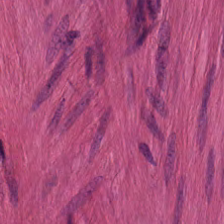Q: What tissue type is shown here?
A: This is muscularis.
